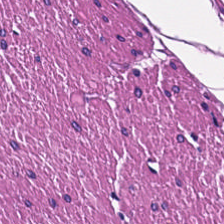0.5 microns per pixel · FFPE tissue section · H&E — Predominantly smooth muscle.
